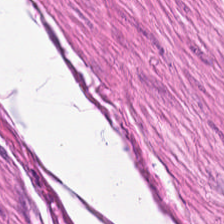Stain: H&E-stained tissue section.
Predominant tissue: smooth-muscle tissue.
